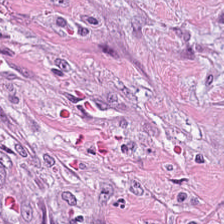FFPE tissue section. Hematoxylin-and-eosin stained section.
Predominantly cancer-associated stroma.
